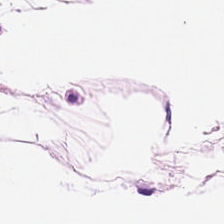224×224 px tile · H&E · 0.5 µm/px.
The tissue class is adipocytes.
